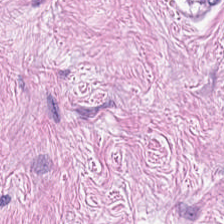H&E. This field is cancer-associated stroma.
